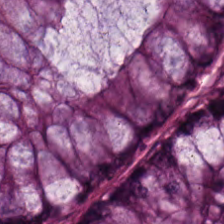Tissue: benign colonic mucosa.
